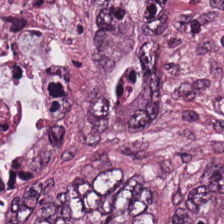Hematoxylin and eosin.
Histology → tumor epithelium.
